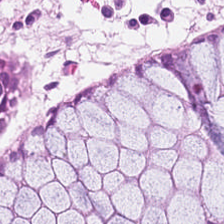Histology — normal colon mucosa.
